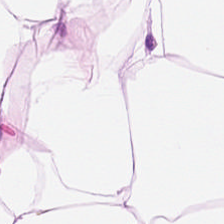Hematoxylin-and-eosin stained section — Q: Identify the tissue.
A: This is adipose.
